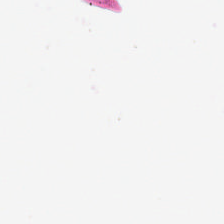Hematoxylin and eosin. {"content": "background (no tissue)"}
